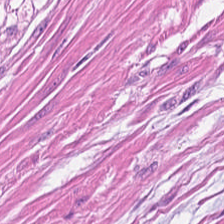H&E stain. This field is muscularis.
